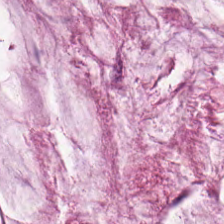WSI patch; H&E. Predominant tissue = extracellular mucin.
